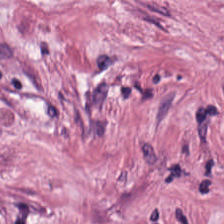Hematoxylin-and-eosin stained section; 0.5 µm per pixel.
Finding — desmoplastic stroma.
